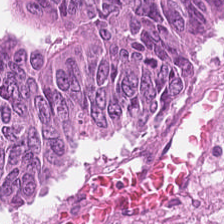Hematoxylin-and-eosin stained section — Q: What type of tissue is this?
A: The field shows colorectal adenocarcinoma.
